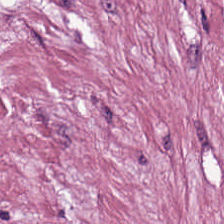H&E — Finding → desmoplastic stroma.
